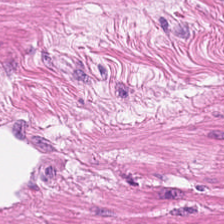H&E — smooth-muscle tissue.
